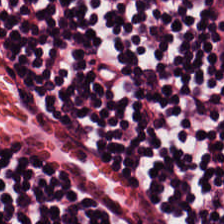Hematoxylin-and-eosin stained section. Showing lymphocytes.
